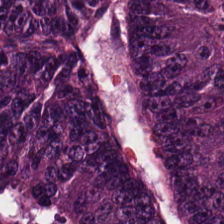Hematoxylin and eosin — Showing tumor epithelium.
